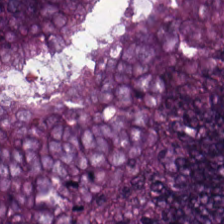Hematoxylin and eosin — Q: Identify the tissue.
A: Colorectal adenocarcinoma.
